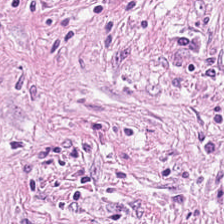The predominant tissue is desmoplastic stroma.
